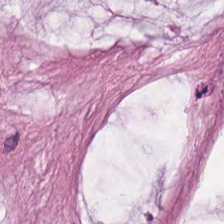Hematoxylin and eosin. Q: What is shown here?
A: Mucin.
